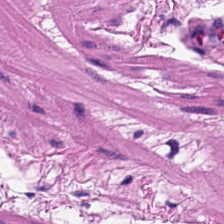FFPE tissue section · H&E-stained tissue section. The tissue type is smooth muscle.
